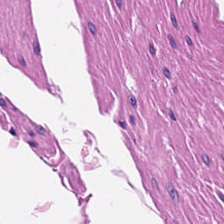H&E — Classification — muscularis.
